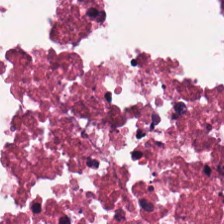Brightfield. H&E stain. Showing cellular debris.
